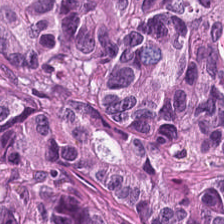FFPE tissue section; 224×224 px patch; H&E.
Predominant tissue: adenocarcinoma.
